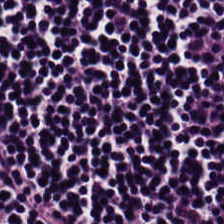This patch shows lymphocytic infiltrate.
